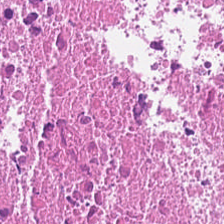H&E stain; whole-slide-image patch.
Q: What is shown in this field?
A: It is debris.
